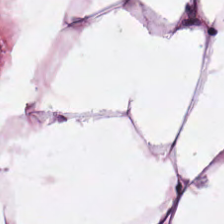Stain: hematoxylin and eosin.
Predominant tissue: adipocytes.
